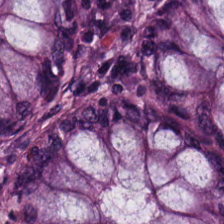The predominant tissue is normal colon mucosa.
